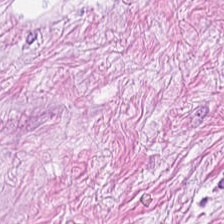The tissue here is cancer-associated stroma.
